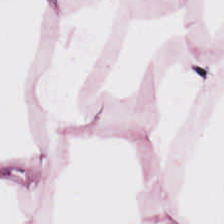Hematoxylin-and-eosin stained section. Predominantly adipose.
